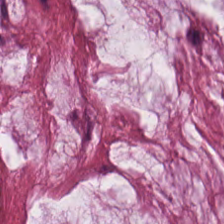{"tissue_type": "mucus"}
